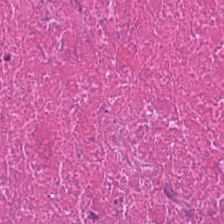H&E. Predominantly cellular debris.
